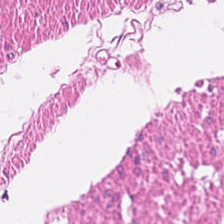FFPE · 0.5 microns per pixel · H&E — Q: What is shown in this field?
A: It is smooth muscle.
